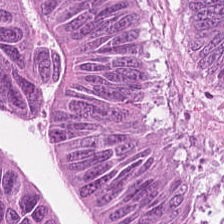H&E stain.
This field is malignant epithelium.
